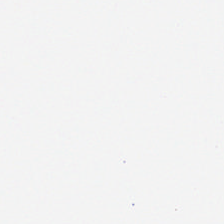Q: What does this patch show?
A: Background (no tissue).
